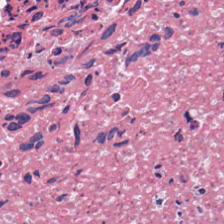Hematoxylin and eosin — Predominantly debris.
